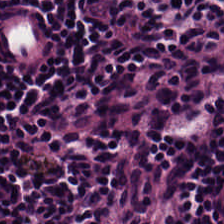Stain: H&E-stained tissue section.
Tissue type: lymphocyte aggregate.
